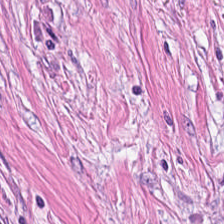H&E-stained tissue section. Q: What tissue is shown?
A: Tumor-associated stroma.
